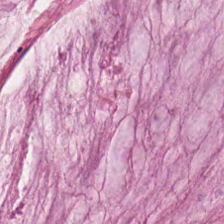Hematoxylin-and-eosin stained section · 20× equivalent magnification · 224×224 pixel tile.
Tissue class — mucus.
